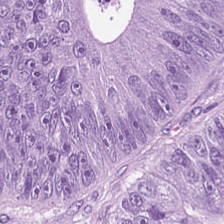H&E stain. FFPE. Brightfield — The predominant tissue is colorectal adenocarcinoma epithelium.
